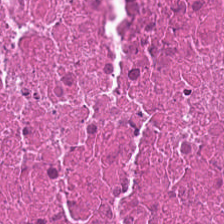Stain: H&E-stained tissue section.
Tissue class: debris.
